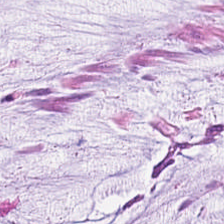Q: What is the predominant tissue type?
A: The field shows mucus.
